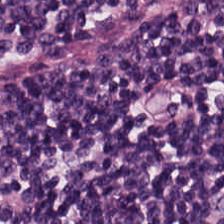224×224 px tile. H&E. The tissue here is lymphocytes.
